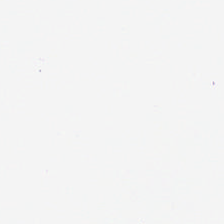Empty field — background.
